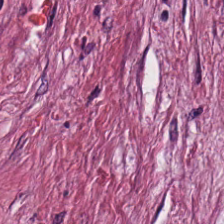H&E stain — The tissue here is tumor stroma.
